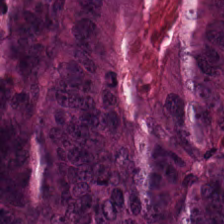{"tissue_type": "malignant epithelium"}
